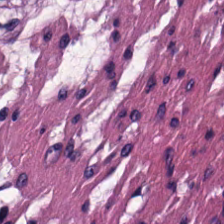Hematoxylin-and-eosin stained section · FFPE tissue section.
Tissue type: smooth muscle.
